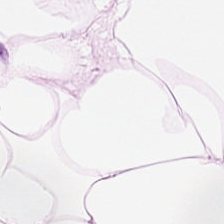H&E stain · FFPE tissue section — This field is adipose tissue.
